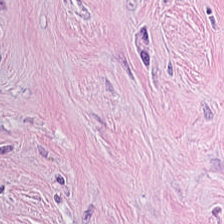Whole-slide-image patch; H&E stain — Impression → cancer-associated stroma.
